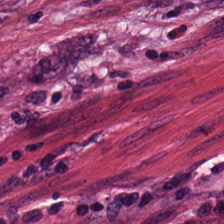Q: What does this patch show?
A: Cancer-associated stroma.
